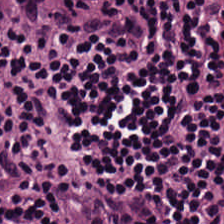Hematoxylin and eosin — This field is lymphoid infiltrate.
